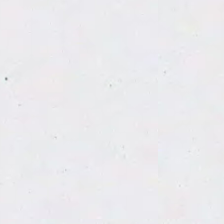0.5 µm/px; FFPE; H&E. Impression — background.
